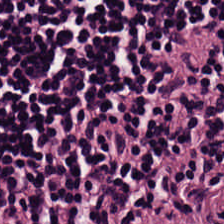Stain: H&E.
Resolution: 0.5 µm/px.
Classification: lymphoid infiltrate.
